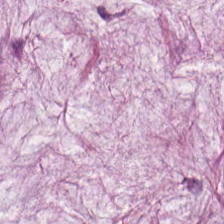H&E-stained tissue section. Brightfield. FFPE tissue section.
Showing extracellular mucin.
